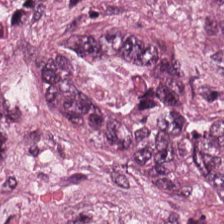Hematoxylin-and-eosin stained section.
Predominantly colorectal adenocarcinoma.
